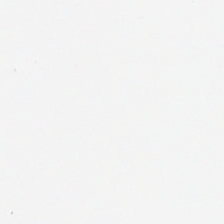FFPE · brightfield · hematoxylin-and-eosin stained section. Histology → empty background.
